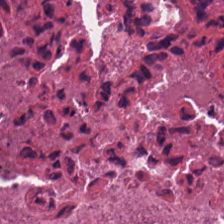H&E stain. Cellular debris.
